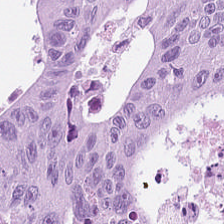Hematoxylin-and-eosin stained section. Tissue = tumor epithelium.
